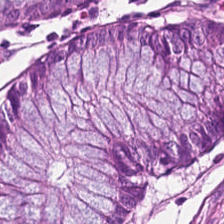Tissue class = benign colonic mucosa.
